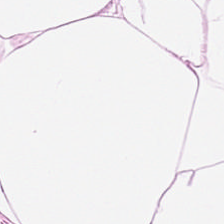H&E stain. This field is fat tissue.
